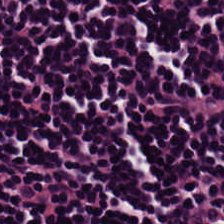The predominant tissue is lymphocytic infiltrate.
